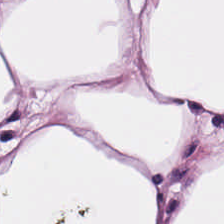Stain: H&E.
Tissue: adipocytes.
